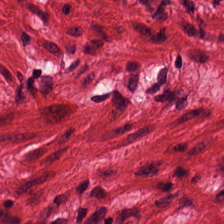H&E-stained tissue section.
Finding → smooth muscle.
